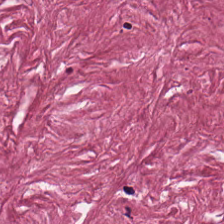H&E stain · 224×224 px patch. The predominant tissue is cancer-associated stroma.
